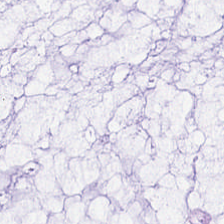Hematoxylin-and-eosin section: mucin.
